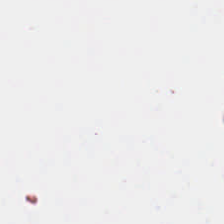H&E. 20× equivalent magnification. Background — no tissue in this field.
